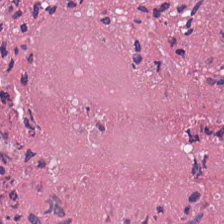H&E; formalin-fixed paraffin-embedded section.
The classification is debris.
